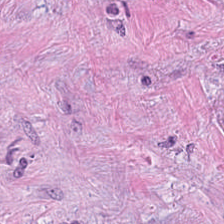H&E-stained tissue section. The tissue here is tumor stroma.
